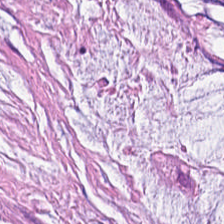224×224 pixel tile. H&E stain.
Predominantly mucus.
